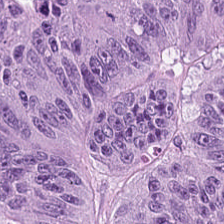H&E — Q: What tissue is shown?
A: The field shows tumor epithelium.
